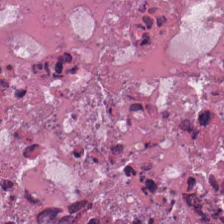The predominant tissue is necrotic debris.
